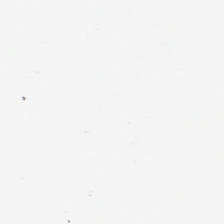Empty background.
